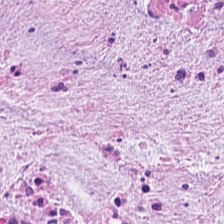Brightfield microscopy. H&E stain — Impression → cancer-associated stroma.
